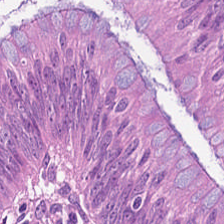Finding → tumor epithelium.
